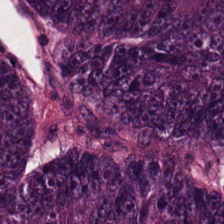H&E. Colorectal adenocarcinoma epithelium.
